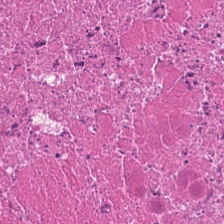H&E — The tissue here is cellular debris.
